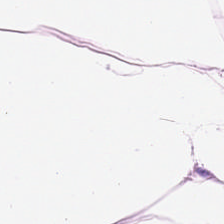Whole-slide-image patch; FFPE; H&E.
Predominantly adipocytes.
